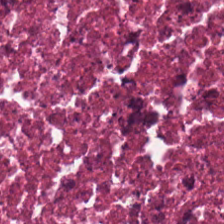Hematoxylin-and-eosin stained section. The predominant tissue is cellular debris.
